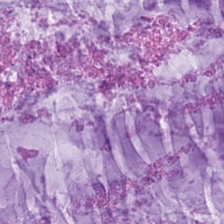H&E-stained tissue section showing mucin.
